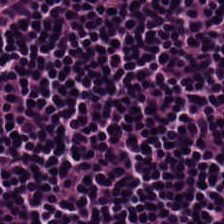H&E stain.
Finding — lymphoid infiltrate.
